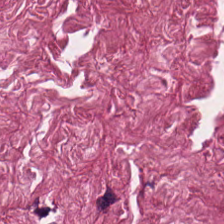H&E stain — Predominantly cancer-associated stroma.
